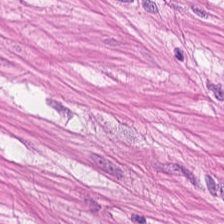Formalin-fixed paraffin-embedded section · 0.5 µm/px · H&E.
This field is smooth muscle.
